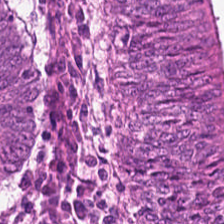224×224 px patch. 0.5 µm per pixel. Hematoxylin and eosin — Predominantly adenocarcinoma.
